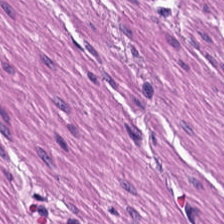H&E-stained tissue section. The tissue type is smooth muscle.
